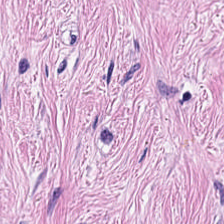FFPE; 224×224 pixel tile; hematoxylin and eosin.
Q: What is shown here?
A: It is desmoplastic stroma.
